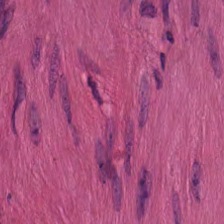Stain: H&E stain.
Tissue type: smooth-muscle tissue.
